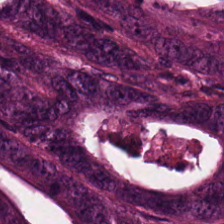Q: What is shown here?
A: This is tumor epithelium.
